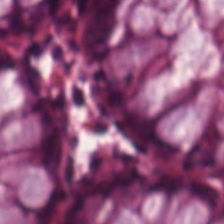Stain: H&E-stained tissue section.
Acquisition: brightfield microscopy.
Classification: benign colonic mucosa.
